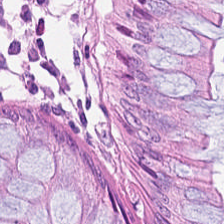Stain: hematoxylin-and-eosin stained section.
Tissue: non-neoplastic colon mucosa.
